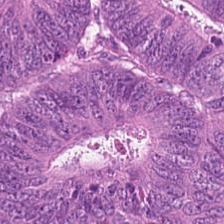H&E stain. Q: What tissue type is shown here?
A: The field shows adenocarcinoma.
